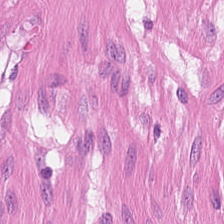Hematoxylin-and-eosin stained section. 224×224 pixel tile. 0.5 microns per pixel — Q: What is shown in this field?
A: This is smooth-muscle tissue.
